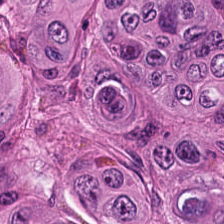H&E — Predominantly adenocarcinoma.
